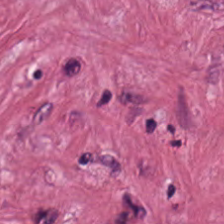H&E-stained tissue section — Q: What does this patch show?
A: The field shows cancer-associated stroma.
